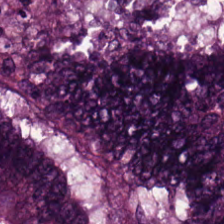Predominant tissue = colorectal adenocarcinoma epithelium.
